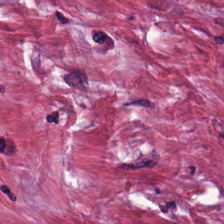Hematoxylin-and-eosin stained section. Desmoplastic stroma.
